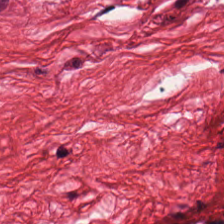Hematoxylin-and-eosin stained section.
Finding — smooth muscle.
